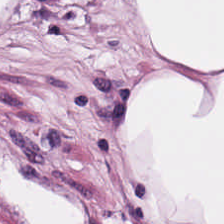The tissue is adipocytes.
